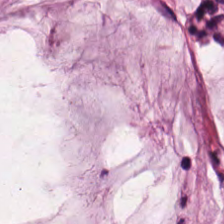FFPE; H&E stain; 224×224 pixel tile. Impression — mucin.
